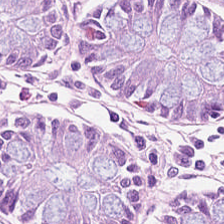H&E; WSI patch; 224×224 px patch.
Normal colon mucosa.
